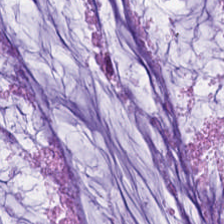H&E stain — Extracellular mucin.
